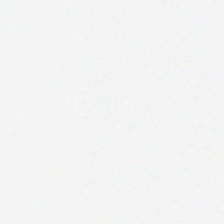Background — no tissue in this field.
